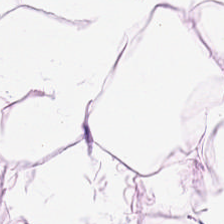Hematoxylin and eosin; 0.5 µm per pixel.
The predominant tissue is adipose.
